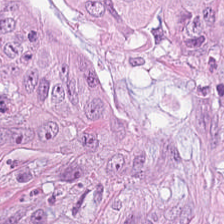H&E; brightfield microscopy — The predominant tissue is adenocarcinoma.
